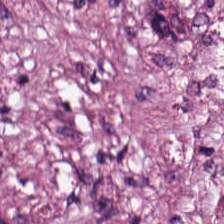Formalin-fixed paraffin-embedded section · 0.5 microns per pixel · H&E-stained tissue section.
Desmoplastic stroma.
